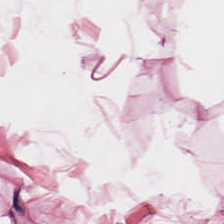224×224 px tile. Hematoxylin-and-eosin stained section. FFPE — {"tissue_type": "adipocytes"}
